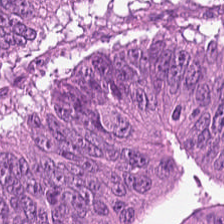H&E — The classification is colorectal adenocarcinoma.
